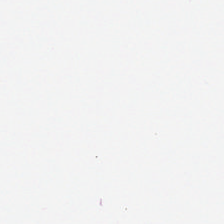Empty field — no tissue.
